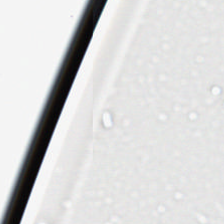H&E · FFPE tissue section · 0.5 µm/px.
Finding — empty background.
